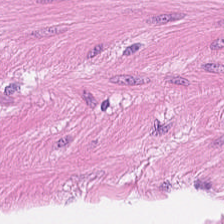FFPE tissue section. H&E stain. Classification — smooth muscle.
